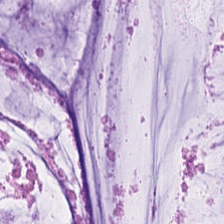Q: What tissue is shown?
A: It is mucus.
